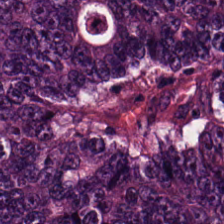Colorectal adenocarcinoma.
